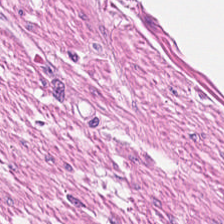Q: Classify this patch.
A: This is smooth-muscle tissue.
